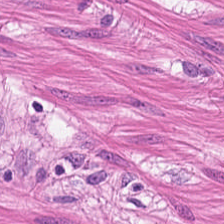0.5 µm per pixel. 224×224 px tile. Hematoxylin-and-eosin stained section. Q: Identify the tissue.
A: The field shows smooth muscle.
